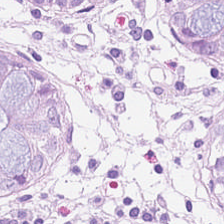Stain: H&E-stained tissue section.
Tissue type: non-neoplastic colon mucosa.
